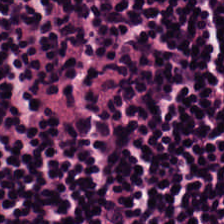224×224 px tile · formalin-fixed paraffin-embedded section · H&E stain. Predominantly lymphocyte aggregate.
